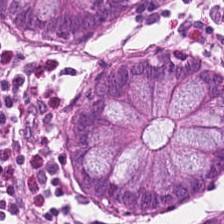Tissue — normal colon mucosa.
